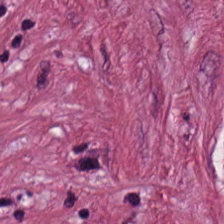Stain: hematoxylin-and-eosin stained section.
Classification: tumor-associated stroma.
